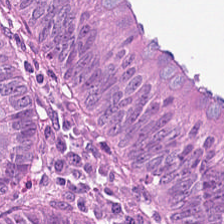Stain: H&E.
Resolution: 0.5 microns per pixel.
Tissue class: adenocarcinoma.
